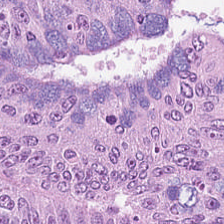224×224 px patch · 0.5 µm/px · H&E-stained tissue section. Predominantly malignant epithelium.
